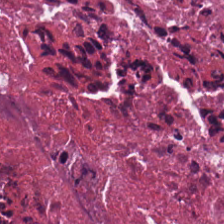Q: What type of tissue is this?
A: This is debris.
